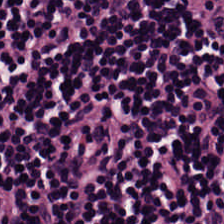Predominantly lymphoid infiltrate.
